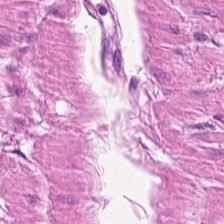0.5 µm/px · 224×224 px tile · hematoxylin and eosin — This field is smooth-muscle tissue.
